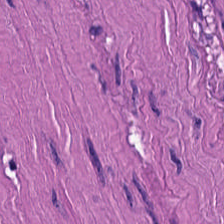0.5 microns per pixel · hematoxylin and eosin · 224×224 pixel tile — This patch shows smooth muscle.
